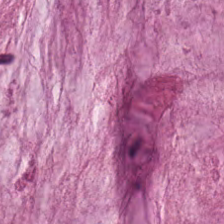H&E. Impression — mucus.
